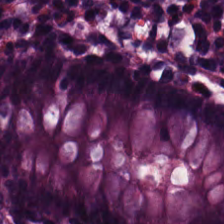Hematoxylin and eosin — Q: What is the predominant tissue type?
A: It is normal colon mucosa.
